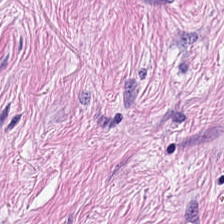0.5 microns per pixel; H&E stain.
Q: What is shown here?
A: It is desmoplastic stroma.
